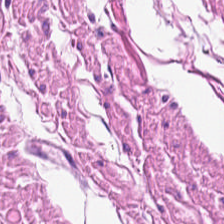Stain: H&E.
Resolution: 0.5 µm per pixel.
Tile size: 224×224 px patch.
Predominant tissue: smooth-muscle tissue.
